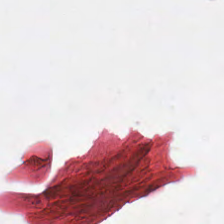This field is background (no tissue).
